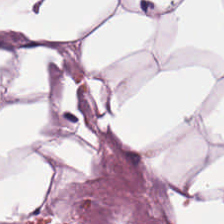Fat tissue.
